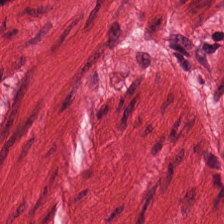Histology → smooth muscle.
